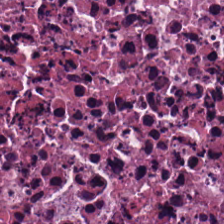224×224 pixel tile; hematoxylin and eosin — Q: What tissue is shown?
A: Debris.
